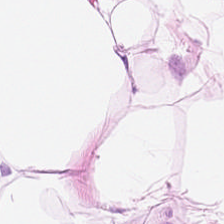224×224 px tile; H&E.
Q: What tissue type is shown here?
A: This is adipose tissue.
